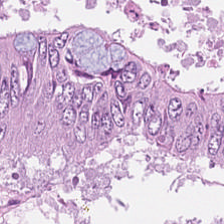Hematoxylin and eosin. Finding — adenocarcinoma.
